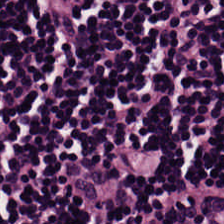Hematoxylin and eosin; FFPE — Tissue type — lymphocytic infiltrate.
